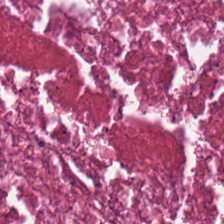H&E.
{"tissue_type": "cellular debris"}
